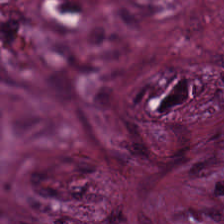Hematoxylin-and-eosin stained section. FFPE tissue section.
This field is tumor-associated stroma.
